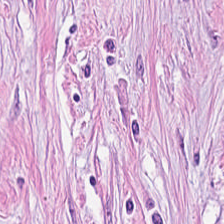224×224 px tile; H&E-stained tissue section.
{"tissue_type": "tumor stroma"}
